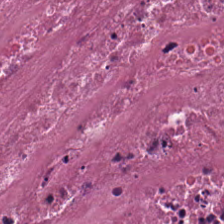Brightfield. H&E-stained tissue section. 0.5 µm per pixel.
This patch shows necrotic debris.
